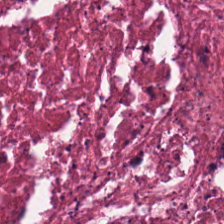Hematoxylin-and-eosin stained section; FFPE tissue section.
Tissue class = debris.
